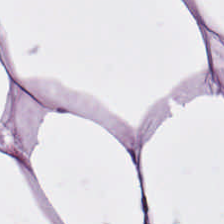The tissue here is adipocytes.
